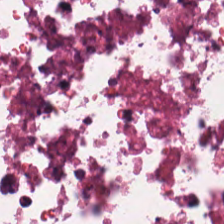H&E stain. FFPE tissue section — Tissue type — debris.
